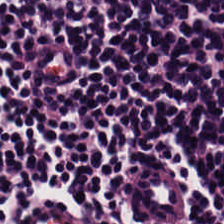H&E stain · FFPE tissue section — Predominantly lymphocytic infiltrate.
